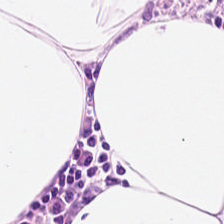This field is adipose.
